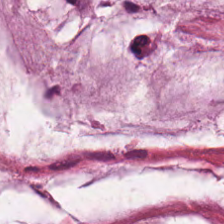FFPE. H&E. 0.5 microns per pixel. Mucus.
